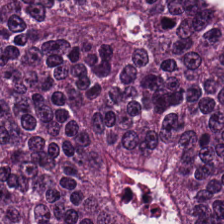H&E stain. Tumor epithelium.
